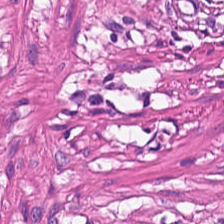FFPE · hematoxylin and eosin. Muscularis.
